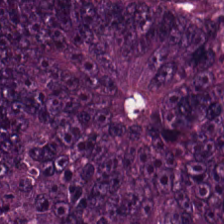H&E stain.
Tissue type: colorectal adenocarcinoma epithelium.
